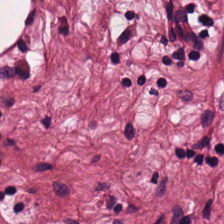H&E stain · brightfield microscopy · 0.5 microns per pixel. Q: What tissue is shown?
A: This is cancer-associated stroma.
